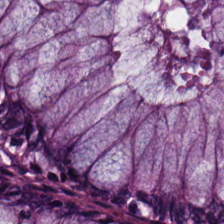Q: What tissue is shown?
A: Benign colonic mucosa.
